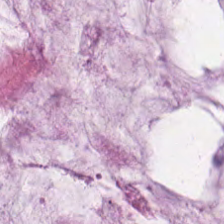0.5 µm per pixel. H&E-stained tissue section.
Q: What is the predominant tissue type?
A: The field shows extracellular mucin.
